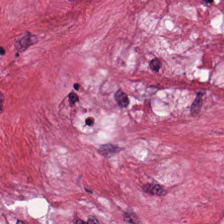FFPE tissue section · hematoxylin and eosin.
Predominantly tumor-associated stroma.
